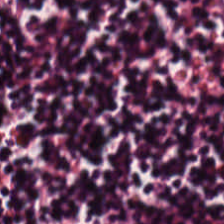Hematoxylin-and-eosin stained section. Histology — lymphocytic infiltrate.
